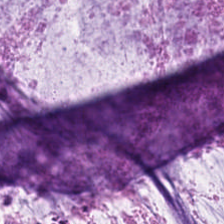Stain: H&E stain.
Classification: extracellular mucin.
